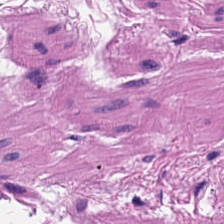Histology → smooth muscle.
